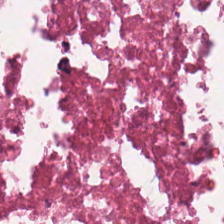H&E stain — This field is necrotic debris.
